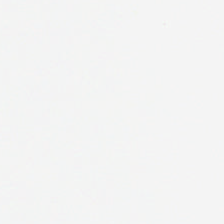H&E stain. 20× equivalent magnification. Finding — background (no tissue).
